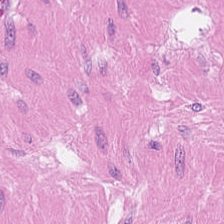224×224 px patch. Hematoxylin-and-eosin stained section.
Histology → muscularis.
